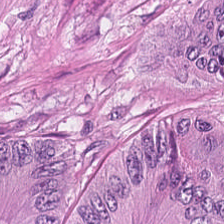Formalin-fixed paraffin-embedded section. Hematoxylin-and-eosin stained section — This patch shows adenocarcinoma.
